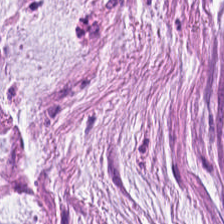Hematoxylin-and-eosin stained section; whole-slide-image patch.
Q: Identify the tissue.
A: It is extracellular mucin.
